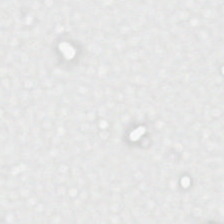Stain: H&E.
Classification: background.
